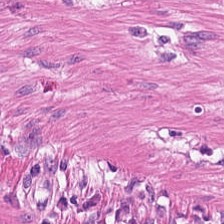224×224 px tile · hematoxylin and eosin.
Smooth muscle.
